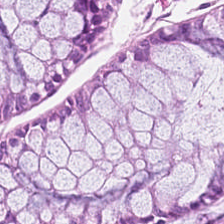Predominantly normal colon mucosa.
